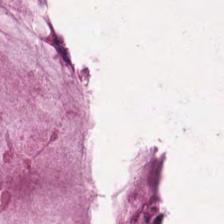Predominant tissue = mucus.
